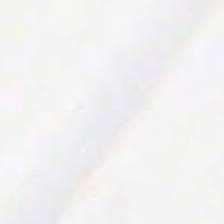Brightfield microscopy · hematoxylin and eosin · FFPE — Background.
